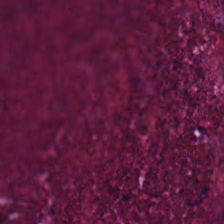Hematoxylin and eosin; WSI patch; 224×224 px tile. The tissue is debris.
